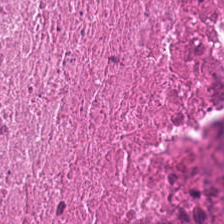Hematoxylin-and-eosin stained section — {"tissue_type": "debris"}
